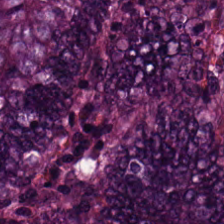H&E stain.
Predominantly malignant epithelium.
